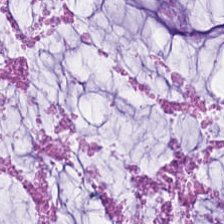Hematoxylin-and-eosin stained section. Formalin-fixed paraffin-embedded section. Finding — extracellular mucin.
